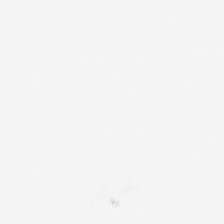224×224 px tile. Hematoxylin and eosin. Empty background.
